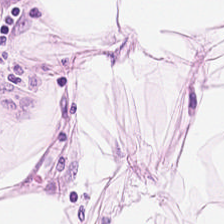Impression → adipocytes.
